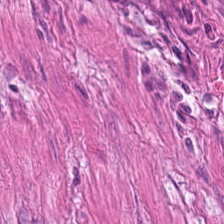{"tissue_type": "muscularis"}
